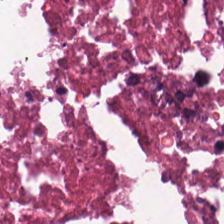H&E-stained tissue section — Classification: necrotic debris.
